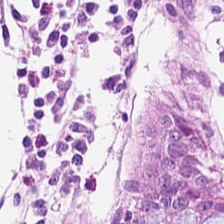H&E · brightfield.
Q: What type of tissue is this?
A: This is non-neoplastic colon mucosa.
